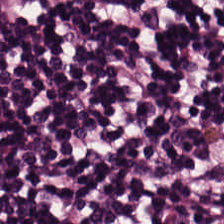FFPE tissue section. H&E stain — Q: What type of tissue is this?
A: This is lymphoid infiltrate.
